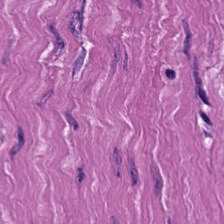Hematoxylin-and-eosin stained section. FFPE tissue section.
The predominant tissue is muscularis.
